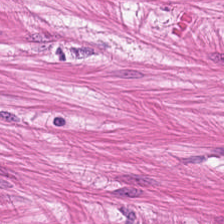Hematoxylin and eosin.
The predominant tissue is smooth muscle.
